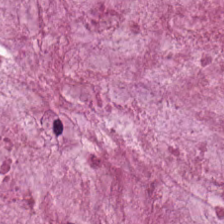{"tissue_type": "mucin"}
